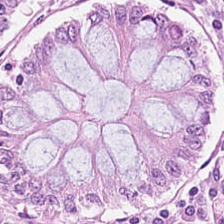H&E patch showing normal colonic mucosa.
